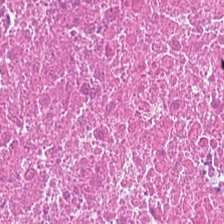H&E.
{"tissue_type": "cellular debris"}
